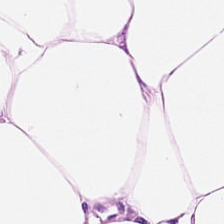H&E stain. Showing adipose tissue.
